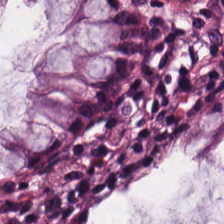Q: What tissue type is shown here?
A: This is benign colonic mucosa.
